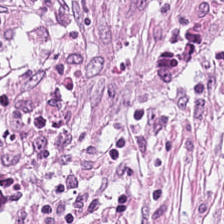Stain: hematoxylin and eosin.
Classification: cancer-associated stroma.
